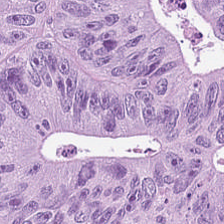FFPE. Hematoxylin-and-eosin stained section.
{"tissue_type": "colorectal adenocarcinoma epithelium"}
